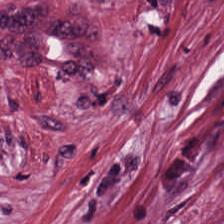H&E patch showing tumor-associated stroma.
